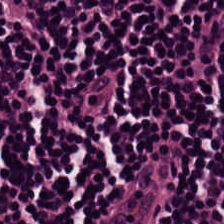H&E-stained tissue section.
The tissue type is lymphocyte aggregate.
